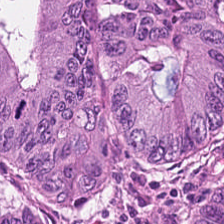Malignant epithelium.
